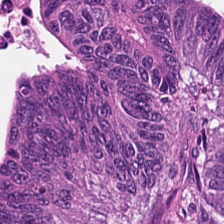H&E. The predominant tissue is colorectal adenocarcinoma.
